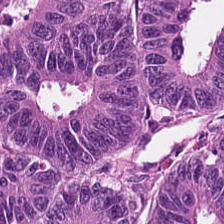H&E-stained tissue section.
The tissue here is colorectal adenocarcinoma epithelium.
